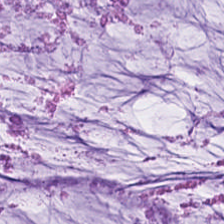Hematoxylin-and-eosin stained section. The classification is mucin.
